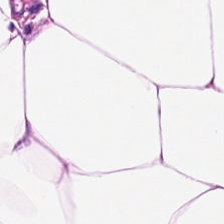FFPE tissue section; H&E-stained tissue section.
This field is fat tissue.
